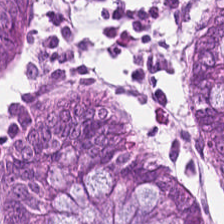H&E-stained tissue section; 0.5 µm per pixel; brightfield — The tissue here is normal colonic mucosa.
